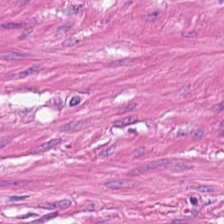0.5 µm per pixel · formalin-fixed paraffin-embedded section · hematoxylin-and-eosin stained section.
Classification = smooth-muscle tissue.
